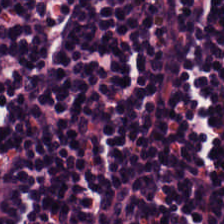H&E-stained tissue section — Showing lymphocyte aggregate.
